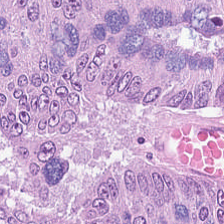20× equivalent magnification. 224×224 pixel tile. H&E-stained tissue section — The classification is adenocarcinoma.
